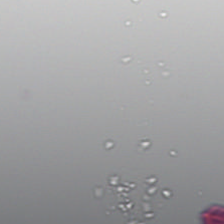Hematoxylin and eosin — Background (no tissue).
